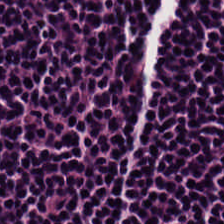Hematoxylin-and-eosin stained section. The predominant tissue is lymphoid infiltrate.
